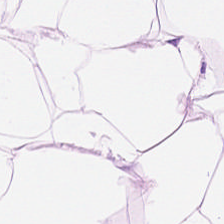Hematoxylin and eosin. 224×224 px tile. Adipose tissue.
